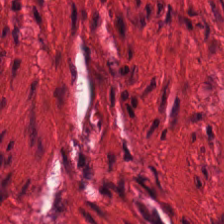Hematoxylin and eosin; 224×224 px patch. The predominant tissue is smooth muscle.
